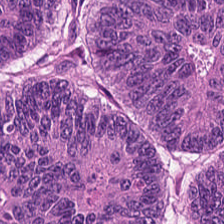The tissue type is colorectal adenocarcinoma epithelium.
